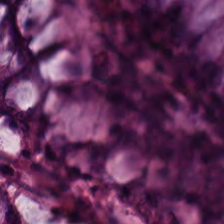Hematoxylin and eosin · 0.5 µm per pixel · FFPE.
Q: What is shown in this field?
A: This is normal colon mucosa.
